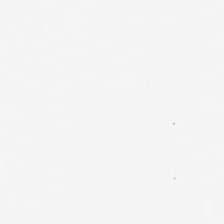Stain: H&E-stained tissue section.
Preparation: FFPE.
Tile size: 224×224 px tile.
Content: no tissue.
